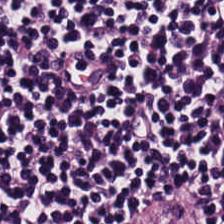Stain: H&E stain.
Tissue: lymphocyte aggregate.
